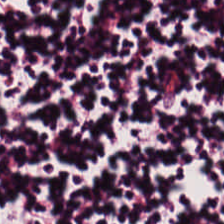The predominant tissue is lymphocyte aggregate.
